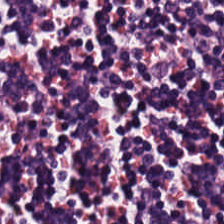Hematoxylin-and-eosin stained section — Q: What does this patch show?
A: This is lymphocyte aggregate.
